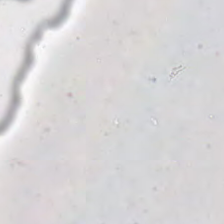Hematoxylin-and-eosin stained section — Classification: empty background.
